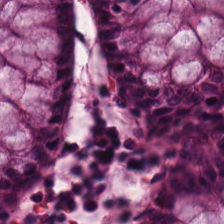{"tissue_type": "benign colonic mucosa"}
